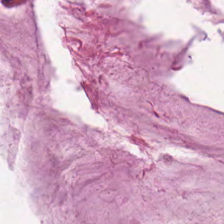H&E stain; 20× equivalent magnification. {"tissue_type": "mucin"}
